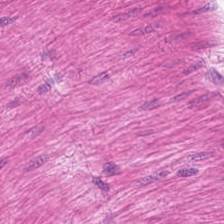0.5 µm/px. H&E-stained tissue section. Q: Identify the tissue.
A: Smooth muscle.
